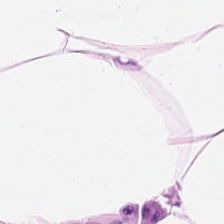H&E — adipose.
